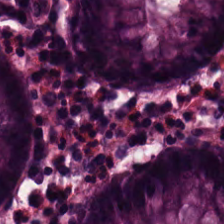Histology — normal colon mucosa.
